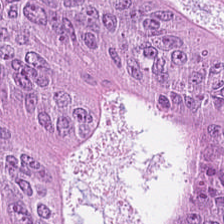Hematoxylin and eosin — Tissue type: tumor epithelium.
